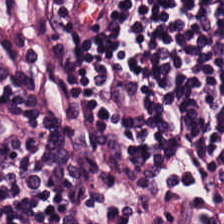FFPE tissue section · H&E. The predominant tissue is lymphoid infiltrate.
